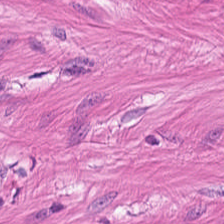H&E-stained tissue section. Tissue — smooth muscle.
